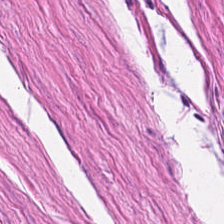Hematoxylin and eosin — Smooth-muscle tissue.
